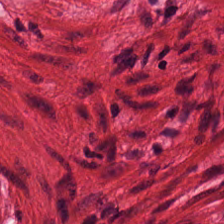H&E · WSI patch. Tissue = muscularis.
